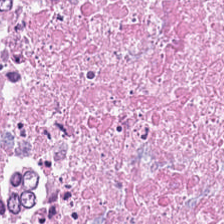The predominant tissue is cellular debris.
